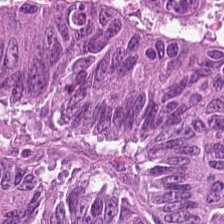H&E patch showing colorectal adenocarcinoma.
